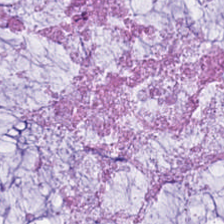20× equivalent magnification. H&E-stained tissue section. 224×224 pixel tile — Q: What tissue type is shown here?
A: This is mucus.
